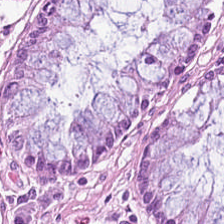Hematoxylin-and-eosin stained section.
Tissue class — benign colonic mucosa.
